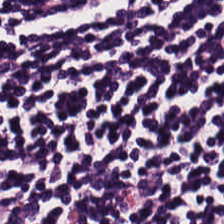Stain: hematoxylin-and-eosin stained section.
Tile size: 224×224 pixel tile.
Classification: lymphocytes.
